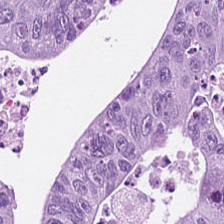Hematoxylin-and-eosin stained section. 0.5 µm/px. FFPE.
Q: What is the predominant tissue type?
A: This is colorectal adenocarcinoma.
